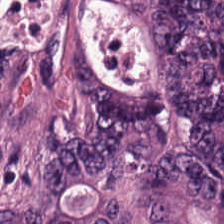Hematoxylin-and-eosin stained section. The tissue here is adenocarcinoma.
